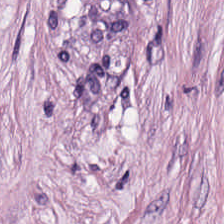0.5 µm/px; FFPE; H&E-stained tissue section. {"tissue_type": "cancer-associated stroma"}
